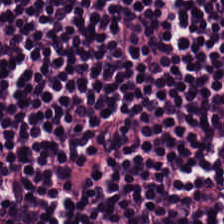Hematoxylin-and-eosin stained section.
Showing lymphocytic infiltrate.
